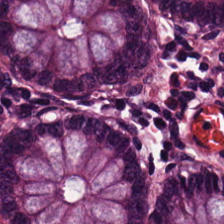Hematoxylin-and-eosin stained section. {"tissue_type": "normal colonic mucosa"}
